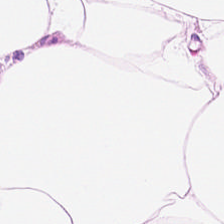Hematoxylin and eosin. Adipose.
